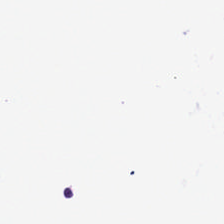H&E. Histology → background.
